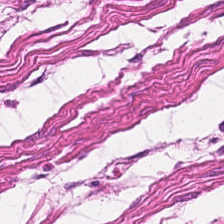H&E-stained tissue section · 224×224 pixel tile.
Predominant tissue = smooth-muscle tissue.
